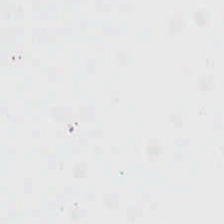Stain: H&E.
Content: background (no tissue).
